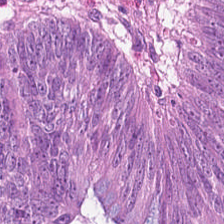Predominant tissue — malignant epithelium.
